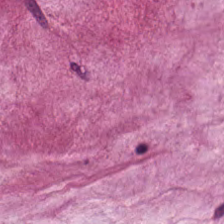Mucin.
